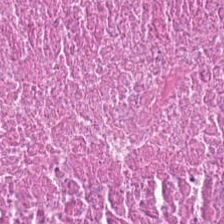The predominant tissue is necrotic debris.
